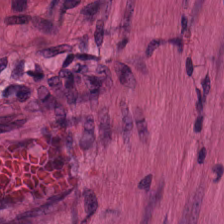H&E stain — Q: What type of tissue is this?
A: Smooth-muscle tissue.
